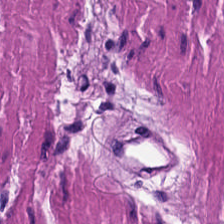Predominantly smooth-muscle tissue.
